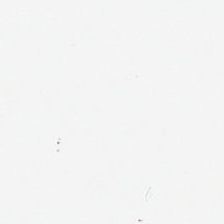H&E stain — The field content is no tissue.
